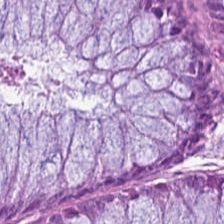Hematoxylin-and-eosin stained section. This field is normal colon mucosa.
